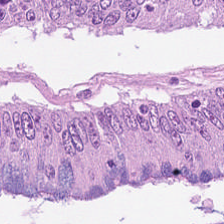Tissue type — colorectal adenocarcinoma.
